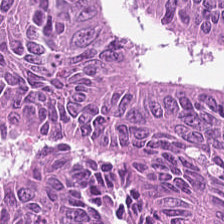The predominant tissue is adenocarcinoma.
